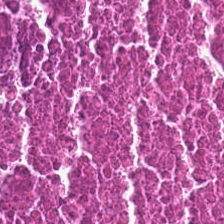Hematoxylin-and-eosin stained section.
Predominantly cellular debris.
